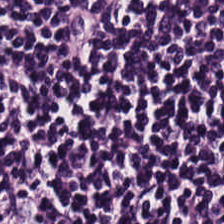Formalin-fixed paraffin-embedded section. H&E. Impression → lymphocytes.
